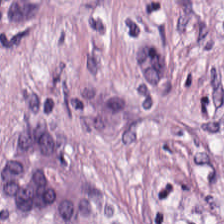Impression — cancer-associated stroma.
